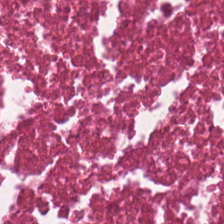H&E-stained tissue section — Tissue class = cellular debris.
